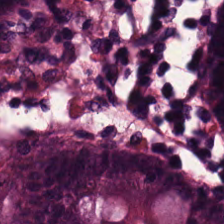Impression → normal colon mucosa.
